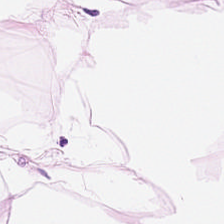Hematoxylin-and-eosin stained section. Classification = adipose tissue.
